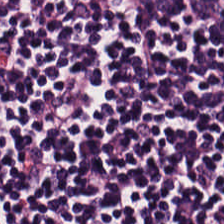Hematoxylin and eosin. Histology → lymphocytic infiltrate.
